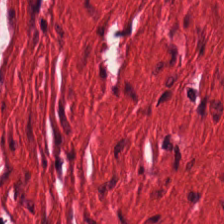Hematoxylin-and-eosin stained section · 224×224 px patch — The predominant tissue is muscularis.
